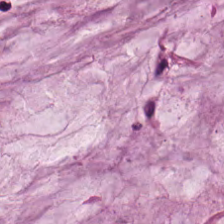H&E. Mucus.
